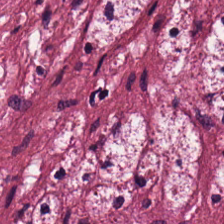Hematoxylin and eosin; FFPE — Classification: tumor stroma.
